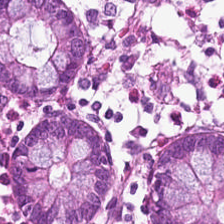Histology — normal colonic mucosa.
